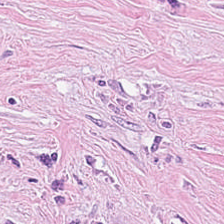H&E stain — Impression — desmoplastic stroma.
